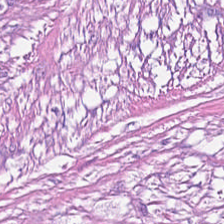Brightfield microscopy · H&E-stained tissue section.
Finding → tumor stroma.
